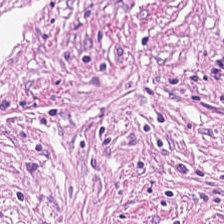Classification: tumor stroma.
